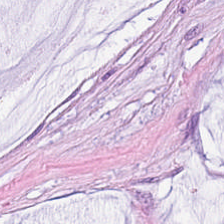H&E stain — Predominantly mucin.
